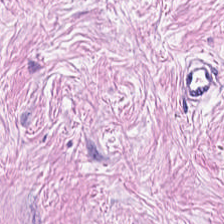Histology → tumor stroma.
